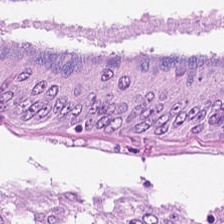Hematoxylin and eosin; formalin-fixed paraffin-embedded section.
The predominant tissue is adenocarcinoma.
